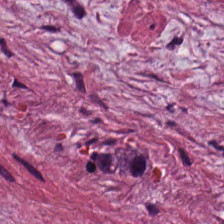Formalin-fixed paraffin-embedded section. Hematoxylin and eosin. Showing cancer-associated stroma.
